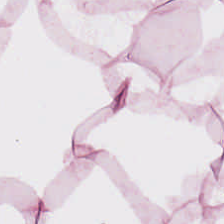Stain: hematoxylin-and-eosin stained section.
Classification: adipose tissue.
